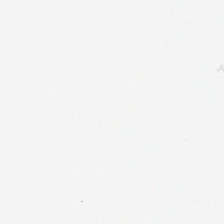Hematoxylin and eosin; 224×224 px tile.
Field content — no tissue.
